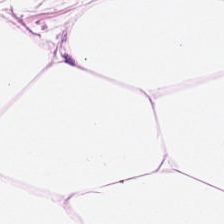H&E — Fat tissue.
